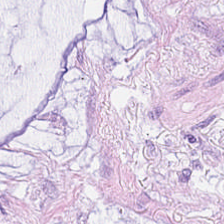Hematoxylin-and-eosin stained section — This field is extracellular mucin.
